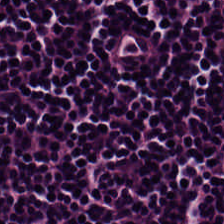0.5 µm per pixel. Hematoxylin-and-eosin stained section.
Tissue class: lymphocytes.
